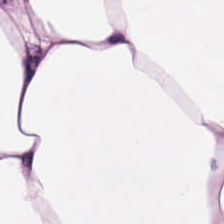H&E — The predominant tissue is adipocytes.
